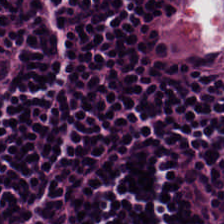H&E stain.
Tissue = lymphocytic infiltrate.
